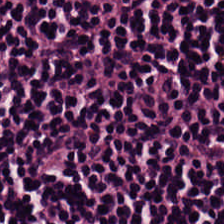Hematoxylin and eosin. 20× equivalent magnification. 224×224 pixel tile — Showing lymphocytic infiltrate.
